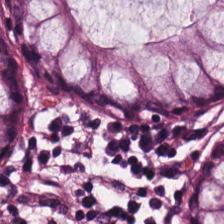H&E. FFPE tissue section. This field is normal colon mucosa.
